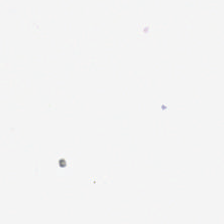Hematoxylin and eosin; WSI patch.
Q: What does this patch show?
A: It is background.
